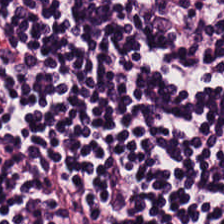0.5 µm per pixel. H&E-stained tissue section. This patch shows lymphoid infiltrate.
